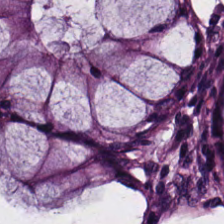Hematoxylin-and-eosin stained section. Benign colonic mucosa.
